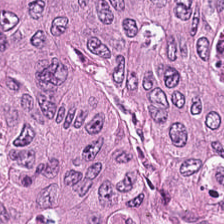H&E stain — Tissue type: colorectal adenocarcinoma.
